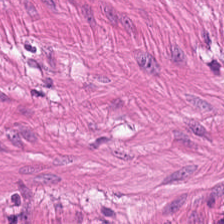H&E.
This patch shows muscularis.
